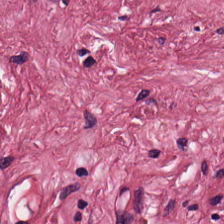H&E stain — The tissue type is desmoplastic stroma.
